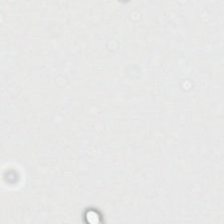H&E-stained tissue section · 224×224 px tile. Classification — empty background.
